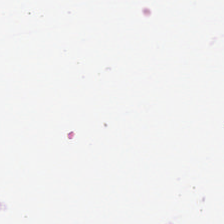{"content": "empty background"}
